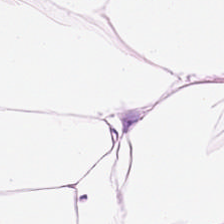Stain: hematoxylin and eosin.
Predominant tissue: adipose tissue.
